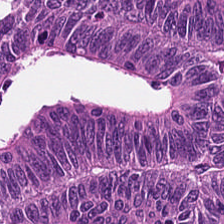H&E stain — Impression → malignant epithelium.
